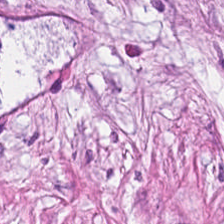Hematoxylin-and-eosin stained section — The classification is desmoplastic stroma.
